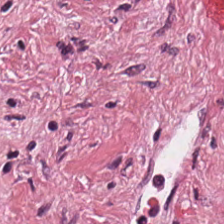H&E stain. Tissue = cancer-associated stroma.
